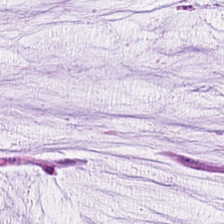Hematoxylin-and-eosin stained section. Q: What tissue type is shown here?
A: The field shows extracellular mucin.
